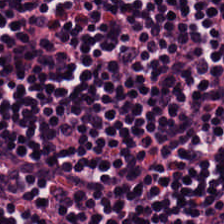Stain: H&E stain.
Tissue type: lymphocytic infiltrate.
